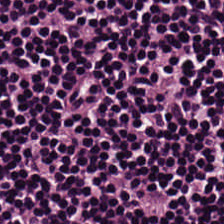Hematoxylin and eosin.
{"tissue_type": "lymphocytic infiltrate"}
